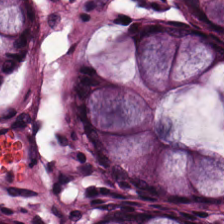H&E-stained section; the field shows benign colonic mucosa.
